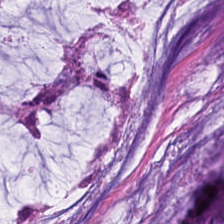Hematoxylin and eosin. This patch shows mucus.
